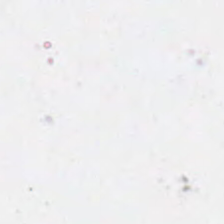The classification is background (no tissue).
